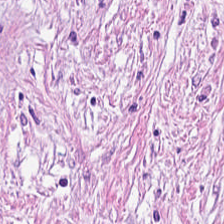Hematoxylin-and-eosin stained section — Tissue type: tumor stroma.
